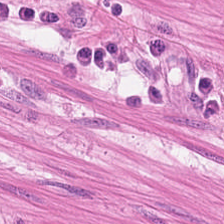Formalin-fixed paraffin-embedded section; H&E stain. Finding — smooth muscle.
